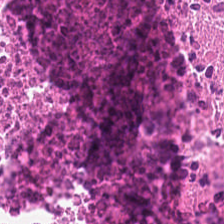Stain: H&E.
Acquisition: whole-slide-image patch.
Classification: debris.
